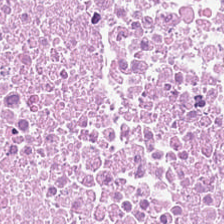Stain: hematoxylin and eosin.
Classification: cellular debris.
